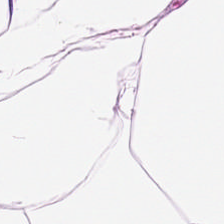Hematoxylin-and-eosin stained section.
Predominant tissue — fat tissue.
